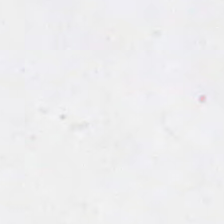H&E-stained tissue section. FFPE tissue section. Q: Classify this patch.
A: It is background.
